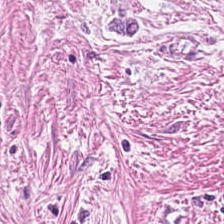H&E — Histology — tumor-associated stroma.
